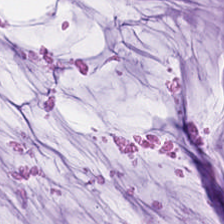Stain: H&E stain.
Tissue class: mucus.
